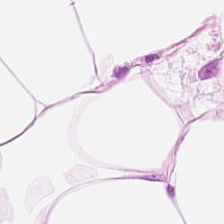{"tissue_type": "adipose"}
